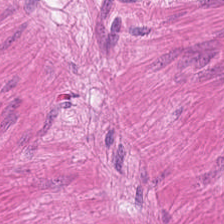Classification = smooth muscle.
